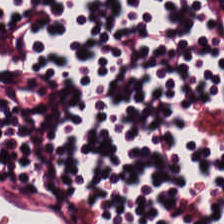H&E stain. WSI patch.
The predominant tissue is lymphocyte aggregate.
